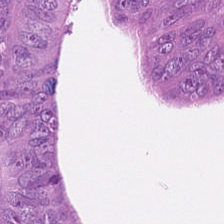WSI patch · H&E stain · formalin-fixed paraffin-embedded section — Showing colorectal adenocarcinoma.
